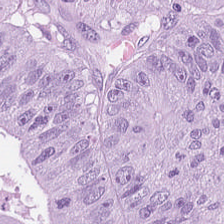Q: What is the predominant tissue type?
A: The field shows malignant epithelium.
